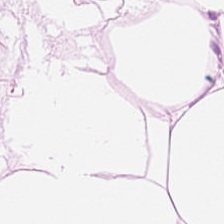H&E — Tissue type = adipocytes.
